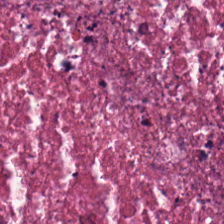H&E stain.
Predominantly debris.
